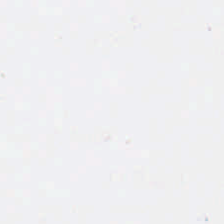H&E stain. 224×224 pixel tile — No tissue present; background only.
